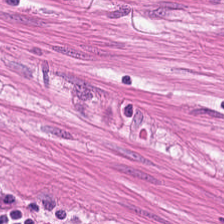H&E · FFPE.
This patch shows smooth muscle.
